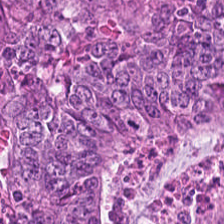Stain: H&E.
Tissue class: colorectal adenocarcinoma epithelium.
